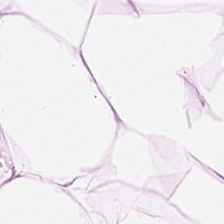Hematoxylin and eosin. Predominant tissue — adipose.
